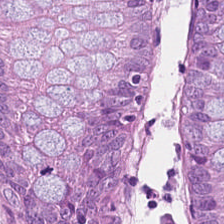FFPE tissue section. H&E.
Classification — benign colonic mucosa.
